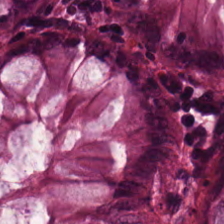H&E-stained section; the field shows normal colonic mucosa.
